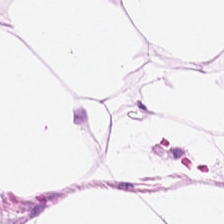FFPE. Hematoxylin-and-eosin stained section. 224×224 px tile.
{"tissue_type": "adipose tissue"}
